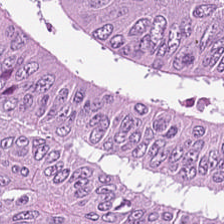H&E stain. Impression → adenocarcinoma.
